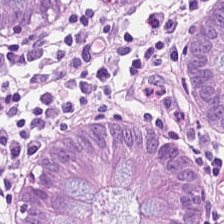Hematoxylin and eosin.
Predominant tissue — normal colonic mucosa.
